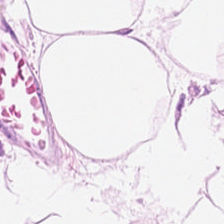Hematoxylin-and-eosin stained section.
Q: What tissue is shown?
A: The field shows fat tissue.
